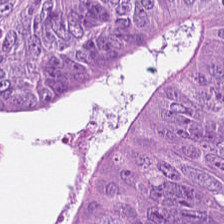H&E stain · whole-slide-image patch. Finding → colorectal adenocarcinoma.
